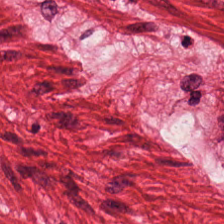H&E stain. Tissue type = muscularis.
